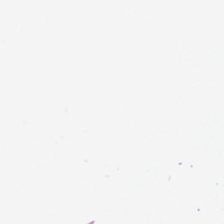224×224 pixel tile · hematoxylin and eosin — Q: What does this patch show?
A: No tissue.
